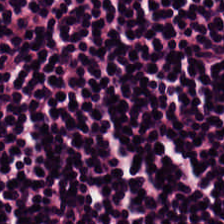H&E; 224×224 px tile — Showing lymphocytes.
